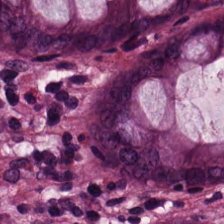H&E-stained tissue section; 0.5 microns per pixel; 224×224 px patch.
Tissue class = normal colon mucosa.
